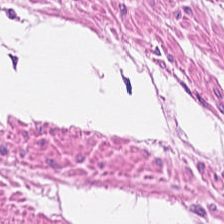H&E — {"tissue_type": "smooth-muscle tissue"}
